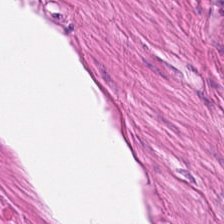Showing smooth-muscle tissue.
